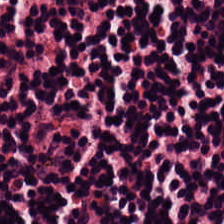Tissue class — lymphocytes.
